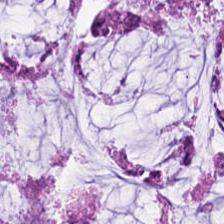Tissue — mucus.
